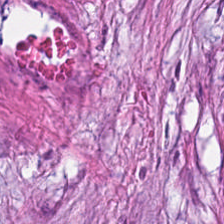Predominantly tumor stroma.
